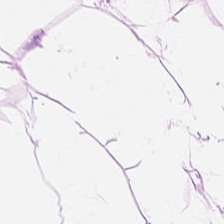H&E stain — This field is adipose tissue.
